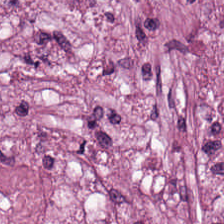H&E stain. The predominant tissue is tumor stroma.
